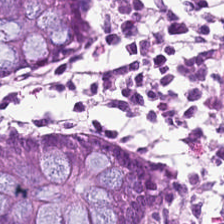Hematoxylin and eosin · whole-slide-image patch.
Q: What is shown here?
A: This is normal colon mucosa.
